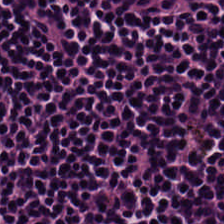0.5 µm/px. H&E.
Finding → lymphocyte aggregate.
